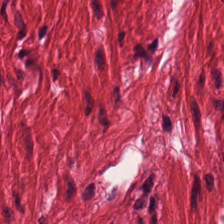Hematoxylin-and-eosin stained section. Predominantly smooth-muscle tissue.
